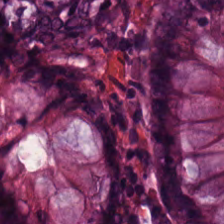224×224 px tile · H&E-stained tissue section · 20× equivalent magnification — Predominant tissue = normal colon mucosa.
